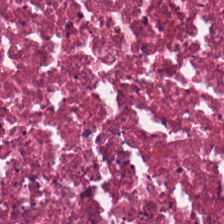H&E-stained tissue section; 224×224 pixel tile. Predominantly necrotic debris.
